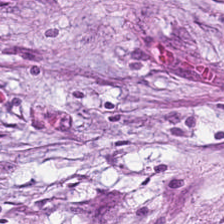FFPE. H&E. Brightfield.
Desmoplastic stroma.
